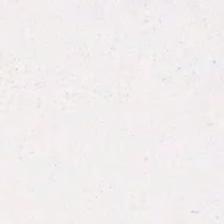FFPE tissue section; 224×224 px patch; H&E.
Histology — mucus.
